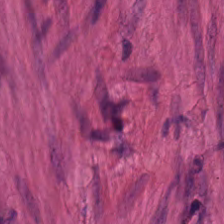Hematoxylin and eosin — Tissue = smooth muscle.
